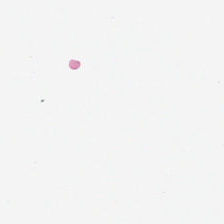FFPE · 0.5 microns per pixel · H&E — Background — no tissue in this field.
